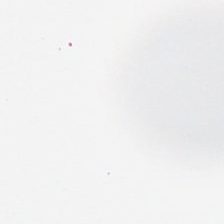Q: Classify this patch.
A: This is empty background.
